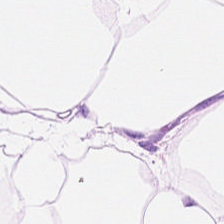Hematoxylin and eosin.
The tissue class is adipose.
